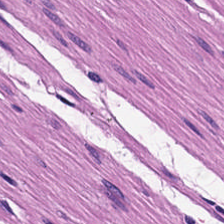Stain: H&E.
Preparation: FFPE.
Tile size: 224×224 px tile.
Predominant tissue: smooth muscle.
